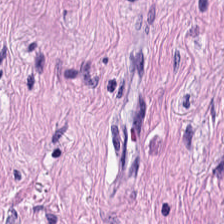Stain: H&E-stained tissue section.
Preparation: FFPE tissue section.
Tissue class: smooth muscle.
